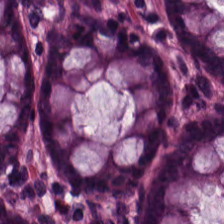H&E-stained tissue section showing normal colon mucosa.
